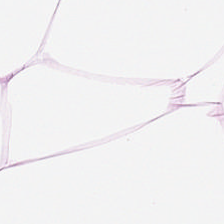{"tissue_type": "adipose"}
